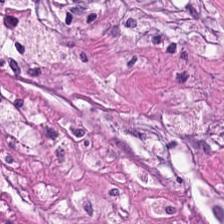H&E. Showing debris.
